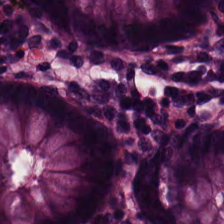H&E stain.
Q: Identify the tissue.
A: The field shows non-neoplastic colon mucosa.
